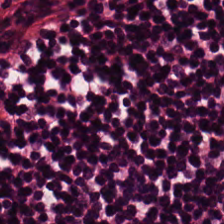H&E-stained section; the field shows lymphoid infiltrate.
